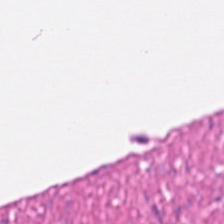Brightfield; H&E stain — Predominantly smooth-muscle tissue.
